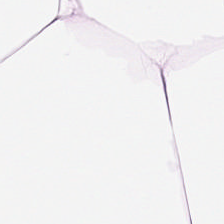224×224 px patch · H&E · whole-slide-image patch — Tissue type — fat tissue.
